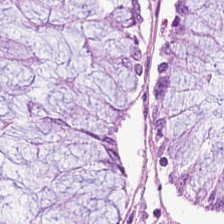Hematoxylin-and-eosin stained section. Histology → normal colon mucosa.
